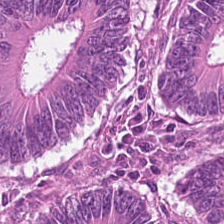The predominant tissue is tumor epithelium.
